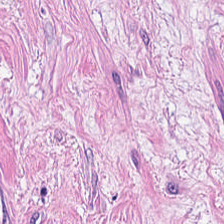H&E. Tissue type: tumor stroma.
